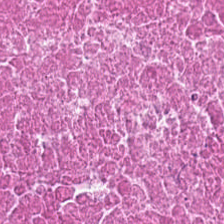Hematoxylin and eosin — Q: What tissue type is shown here?
A: This is necrotic debris.
